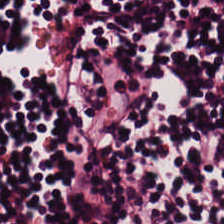H&E-stained tissue section; 20× equivalent magnification; 224×224 px tile — Showing lymphocytes.
